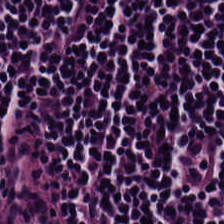H&E stain — The tissue here is lymphocytic infiltrate.
